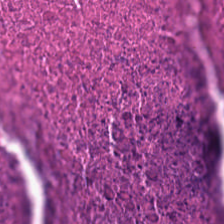H&E — cellular debris.
